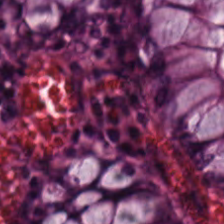0.5 µm per pixel. Hematoxylin-and-eosin stained section — This field is normal colon mucosa.
